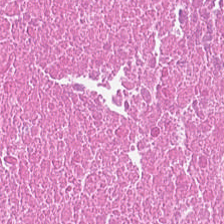Stain: H&E stain.
Tissue: necrotic debris.
